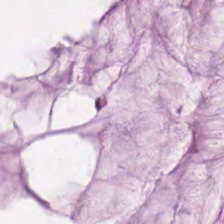Hematoxylin and eosin. The predominant tissue is extracellular mucin.
